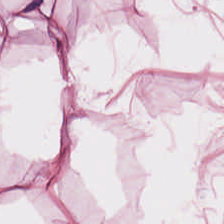H&E.
{"tissue_type": "adipose"}
